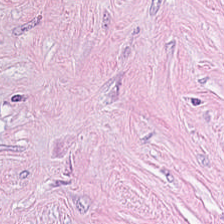Hematoxylin-and-eosin stained section. Tissue class: cancer-associated stroma.
